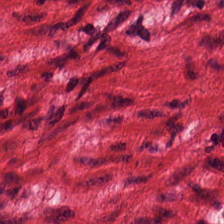Predominantly smooth muscle.
